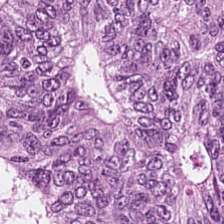H&E-stained tissue section — Classification — colorectal adenocarcinoma.
